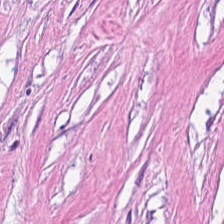H&E; FFPE; 0.5 µm/px — This field is tumor-associated stroma.
